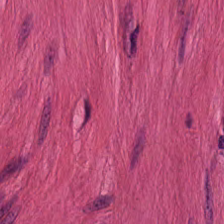Stain: hematoxylin-and-eosin stained section.
Predominant tissue: smooth-muscle tissue.
